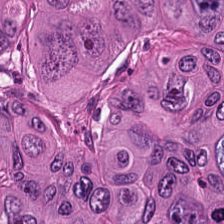0.5 µm/px. H&E stain — Q: What is shown here?
A: This is tumor epithelium.
